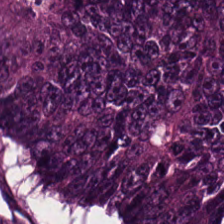Stain: H&E stain.
Tissue type: adenocarcinoma.
